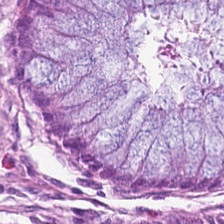Hematoxylin-and-eosin stained section — Impression → non-neoplastic colon mucosa.
